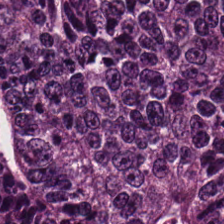Stain: hematoxylin-and-eosin stained section.
Tile size: 224×224 px tile.
Resolution: 0.5 microns per pixel.
Predominant tissue: adenocarcinoma.
